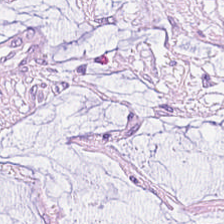H&E stain — Tissue type: extracellular mucin.
